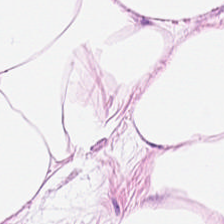Tissue: adipose.
